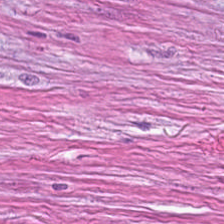Hematoxylin-and-eosin stained section — The classification is tumor stroma.
